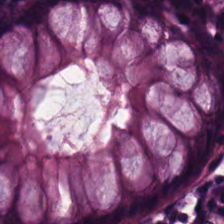Predominantly normal colon mucosa.
